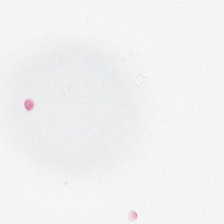Hematoxylin and eosin.
No tissue present; background only.
